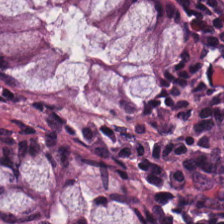Tissue type = non-neoplastic colon mucosa.
